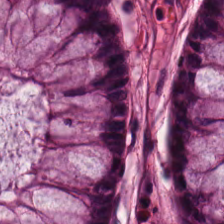WSI patch; H&E stain; 224×224 px patch. Histology → non-neoplastic colon mucosa.
